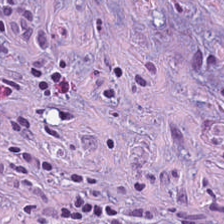H&E. Q: What does this patch show?
A: Desmoplastic stroma.
